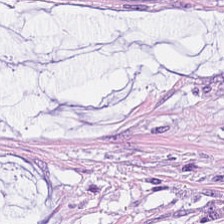Tissue type — mucin.
